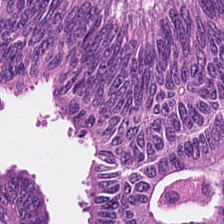H&E.
Predominant tissue — colorectal adenocarcinoma epithelium.
